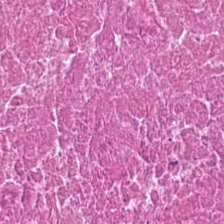Predominant tissue — debris.
